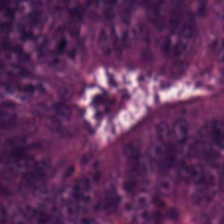H&E.
Classification = tumor epithelium.
